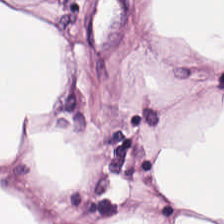H&E stain.
Q: What tissue is shown?
A: Fat tissue.
